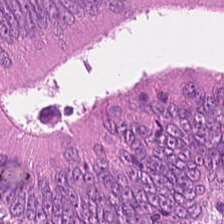Stain: H&E stain.
Classification: colorectal adenocarcinoma.
